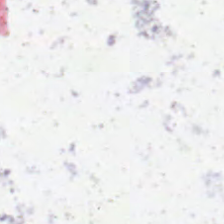Finding — empty background.
